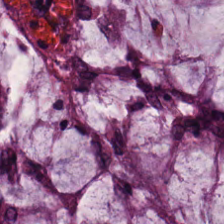Stain: H&E stain.
Predominant tissue: non-neoplastic colon mucosa.
